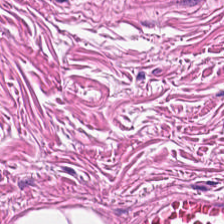H&E-stained tissue section — The classification is smooth muscle.
